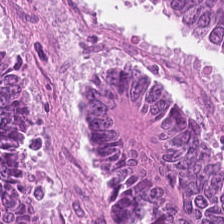Hematoxylin and eosin — Predominantly colorectal adenocarcinoma.
